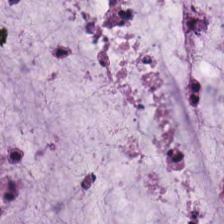0.5 microns per pixel. 224×224 px patch. H&E.
Q: What tissue is shown?
A: Mucin.
